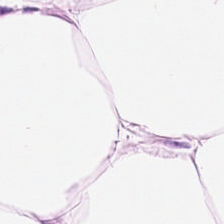H&E stain. Brightfield microscopy.
Q: What is shown here?
A: This is fat tissue.
